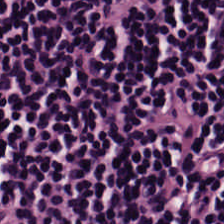H&E-stained tissue section; brightfield microscopy; FFPE — Lymphocytic infiltrate.
